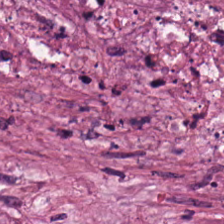H&E · whole-slide-image patch.
Tissue type = cellular debris.
